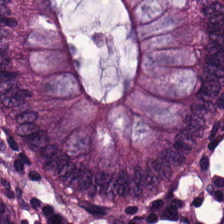H&E · FFPE tissue section · 224×224 pixel tile. Impression — non-neoplastic colon mucosa.
